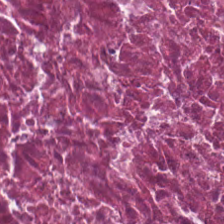Impression — cellular debris.
